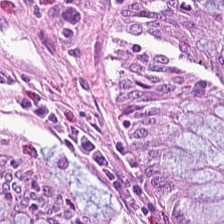Whole-slide-image patch. H&E-stained tissue section — Showing normal colonic mucosa.
